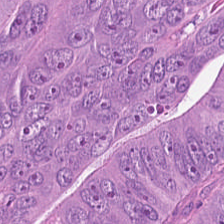Hematoxylin-and-eosin stained section. Tissue type: colorectal adenocarcinoma.
